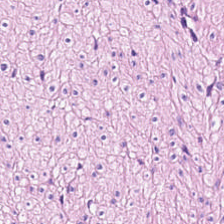Stain: H&E stain.
Predominant tissue: muscularis.
